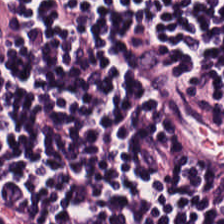H&E. Tissue: lymphocytic infiltrate.
